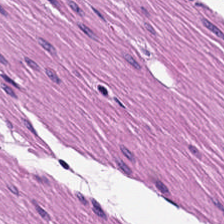FFPE tissue section; H&E-stained tissue section — This field is smooth-muscle tissue.
